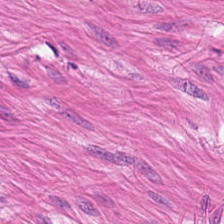H&E — Classification: smooth muscle.
